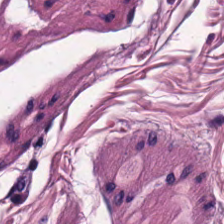Hematoxylin-and-eosin stained section.
The tissue class is muscularis.
